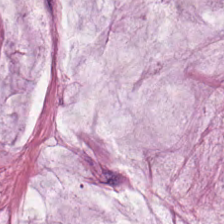H&E stain. Tissue = extracellular mucin.
